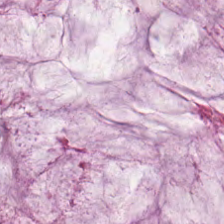Mucus.
